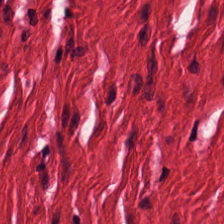H&E. Impression → smooth-muscle tissue.
